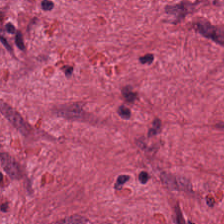H&E-stained tissue section — Histology → tumor stroma.
